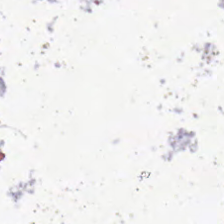H&E. Formalin-fixed paraffin-embedded section. This patch shows empty background.
